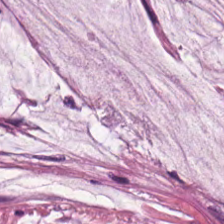Hematoxylin and eosin — Predominant tissue = extracellular mucin.
